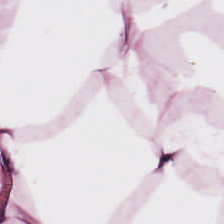Stain: hematoxylin-and-eosin stained section.
Tissue: adipocytes.
